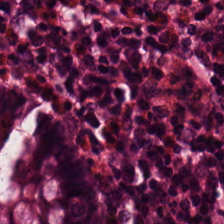Brightfield · H&E stain. Normal colon mucosa.
